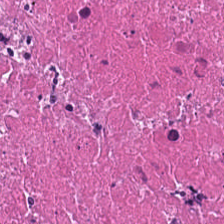Stain: H&E.
Preparation: formalin-fixed paraffin-embedded section.
Tissue class: debris.
